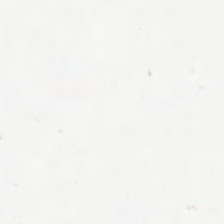Field content: background.
